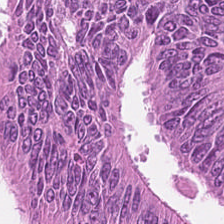0.5 microns per pixel · 224×224 px patch · hematoxylin-and-eosin stained section. The tissue here is adenocarcinoma.
